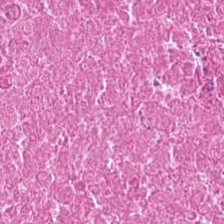Hematoxylin and eosin — Q: What type of tissue is this?
A: This is cellular debris.
